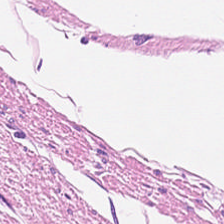Tissue class: muscularis.
